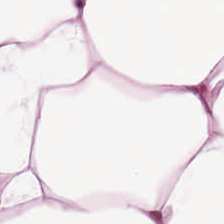FFPE · H&E stain · WSI patch — {"tissue_type": "adipose tissue"}
